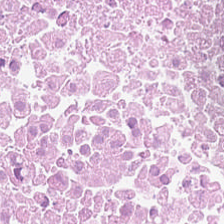Stain: H&E-stained tissue section.
Preparation: FFPE.
Tissue type: cellular debris.
